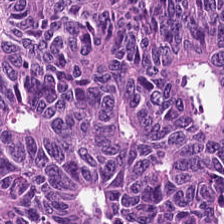Hematoxylin-and-eosin stained section. The tissue class is tumor epithelium.
